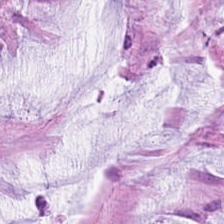This field is mucin.
